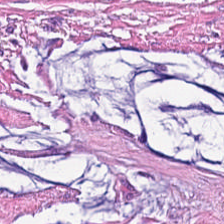H&E-stained tissue section — This field is tumor stroma.
